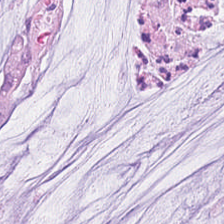{"tissue_type": "mucin"}
